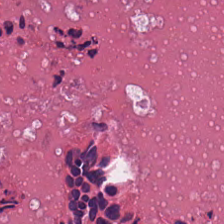Hematoxylin and eosin. FFPE. This field is necrotic debris.
